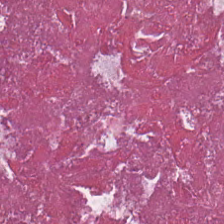Tissue type: necrotic debris.
